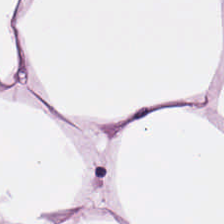Hematoxylin-and-eosin stained section — Tissue — fat tissue.
